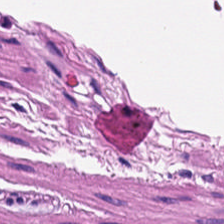Whole-slide-image patch · H&E-stained tissue section.
Showing smooth-muscle tissue.
